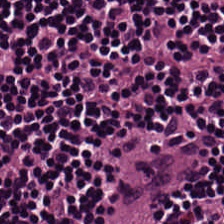Hematoxylin-and-eosin stained section. Tissue = lymphoid infiltrate.
